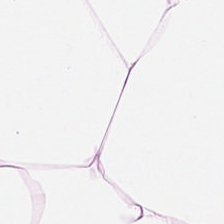20× equivalent magnification. Hematoxylin and eosin.
Classification = adipose tissue.
